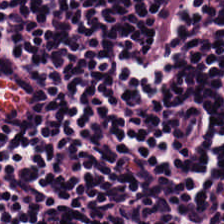Hematoxylin-and-eosin stained section; 224×224 px tile; brightfield microscopy — Impression — lymphocytic infiltrate.
